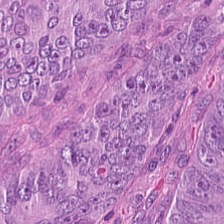The tissue here is adenocarcinoma.
